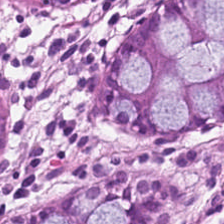H&E-stained section; the field shows normal colon mucosa.
